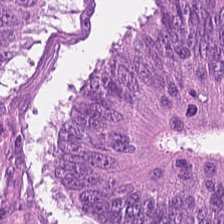The tissue here is adenocarcinoma.
